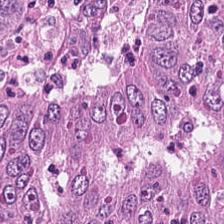H&E.
Q: Classify this patch.
A: It is colorectal adenocarcinoma.
